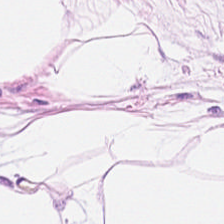Hematoxylin-and-eosin stained section — Showing fat tissue.
